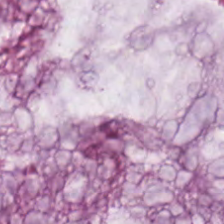Stain: H&E-stained tissue section.
Tissue type: mucus.
